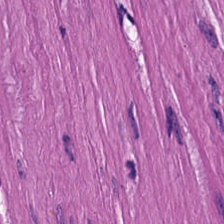Stain: H&E.
Acquisition: WSI patch.
Classification: smooth muscle.
